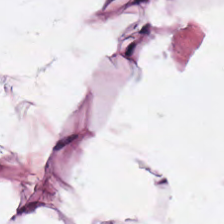Tissue class: adipose tissue.
